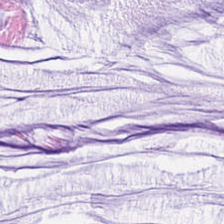Formalin-fixed paraffin-embedded section. 224×224 px patch. H&E. Predominant tissue — extracellular mucin.
